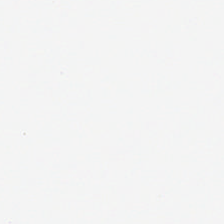Stain: H&E stain.
Field content: empty background.
